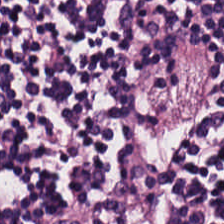Classification — lymphocyte aggregate.
